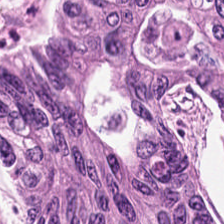Showing adenocarcinoma.
